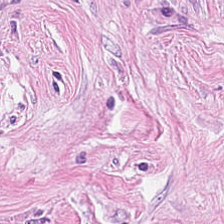Whole-slide-image patch · hematoxylin-and-eosin stained section.
This patch shows desmoplastic stroma.
